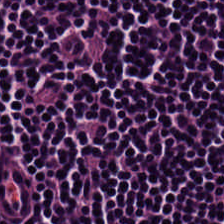Brightfield. H&E-stained tissue section. The predominant tissue is lymphocytic infiltrate.
